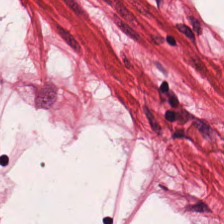0.5 microns per pixel; hematoxylin and eosin. {"tissue_type": "smooth-muscle tissue"}
